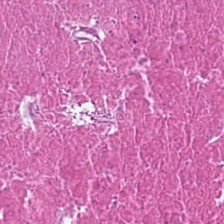Hematoxylin-and-eosin stained section. 224×224 px patch.
Predominantly cellular debris.
